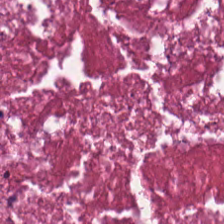224×224 px tile. H&E-stained tissue section. Predominantly necrotic debris.
